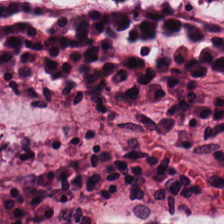0.5 microns per pixel · WSI patch · H&E-stained tissue section. Q: What tissue type is shown here?
A: The field shows normal colonic mucosa.
